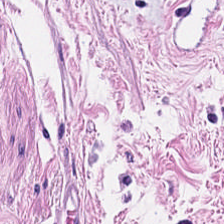Hematoxylin and eosin.
Predominant tissue — smooth muscle.
